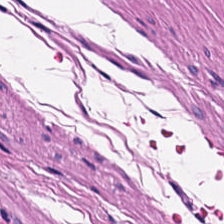Hematoxylin and eosin — Tissue type — smooth muscle.
